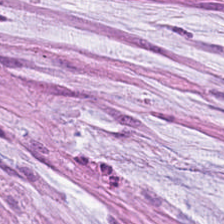The predominant tissue is mucus.
